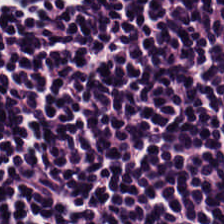Hematoxylin and eosin.
Tissue type: lymphocytes.
